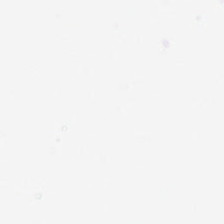H&E stain — This patch shows no tissue.
